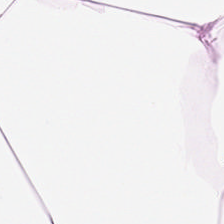Predominant tissue — adipose.
